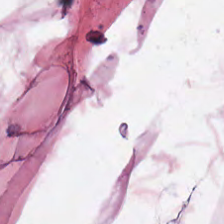H&E — adipose tissue.
